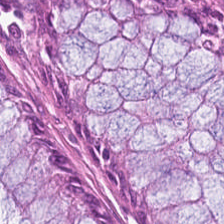The tissue here is benign colonic mucosa.
